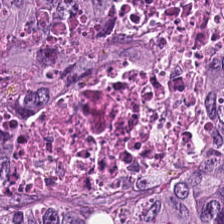The predominant tissue is malignant epithelium.
